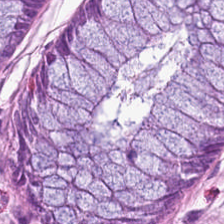0.5 µm per pixel. Hematoxylin-and-eosin stained section.
The predominant tissue is non-neoplastic colon mucosa.
